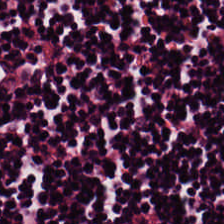H&E-stained tissue section.
The predominant tissue is lymphocytes.
